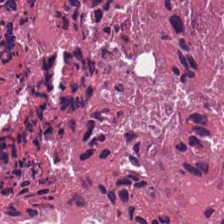H&E-stained tissue section — This patch shows necrotic debris.
